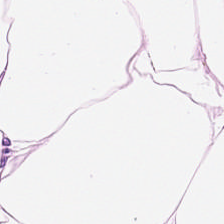H&E stain.
This patch shows adipose.
